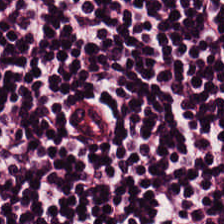224×224 pixel tile; hematoxylin and eosin.
This patch shows lymphocytic infiltrate.
